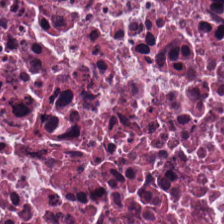224×224 pixel tile; hematoxylin and eosin.
{"tissue_type": "debris"}
